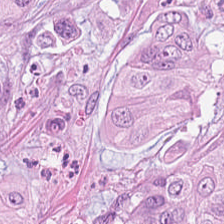H&E stain. 224×224 pixel tile. FFPE — The tissue here is colorectal adenocarcinoma epithelium.
